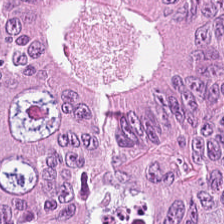Tissue class: colorectal adenocarcinoma epithelium.
